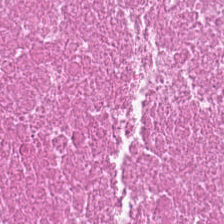Stain: H&E.
Tissue class: necrotic debris.
